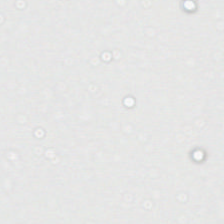Hematoxylin and eosin. 0.5 microns per pixel. Q: What is shown in this field?
A: This is background.
